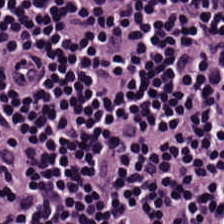H&E-stained tissue section.
The classification is lymphocyte aggregate.
